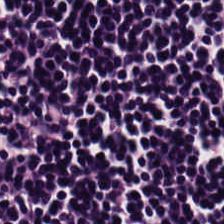Q: What tissue type is shown here?
A: Lymphoid infiltrate.
